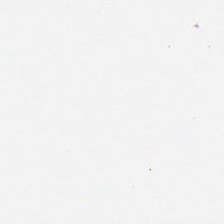Stain: hematoxylin and eosin.
Content: no tissue.
